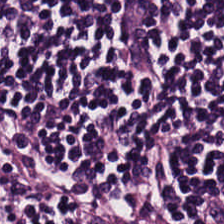H&E stain · 20× equivalent magnification.
Q: Identify the tissue.
A: The field shows lymphocytes.
